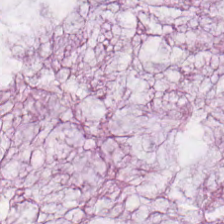H&E stain. Impression — mucin.
